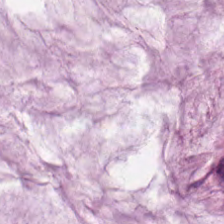H&E — Q: Classify this patch.
A: This is extracellular mucin.
